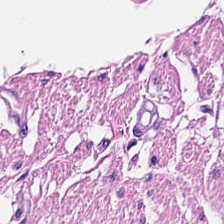H&E — smooth-muscle tissue.
